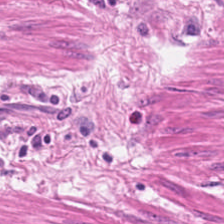This field is muscularis.
